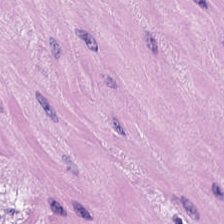Hematoxylin-and-eosin stained section — The tissue here is muscularis.
